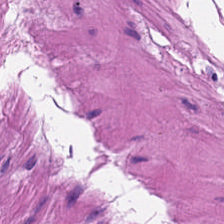Hematoxylin-and-eosin stained section — Predominantly muscularis.
